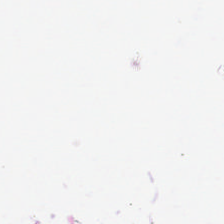H&E stain.
Empty field — background (no tissue).
